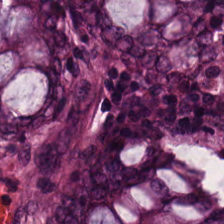224×224 px patch · WSI patch · hematoxylin and eosin. Predominant tissue: normal colonic mucosa.
